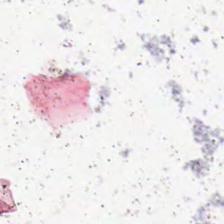Hematoxylin-and-eosin stained section. Q: What is shown in this field?
A: Background (no tissue).
